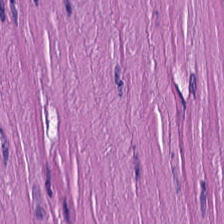Hematoxylin and eosin · 224×224 px patch — Q: What does this patch show?
A: Smooth muscle.
